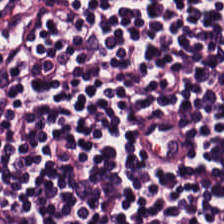Whole-slide-image patch; hematoxylin and eosin. Lymphocyte aggregate.
